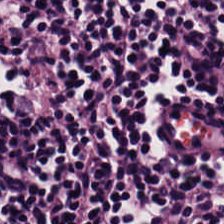224×224 pixel tile · H&E — The tissue here is lymphocyte aggregate.
